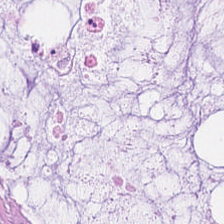H&E stain. Q: What type of tissue is this?
A: It is mucus.
